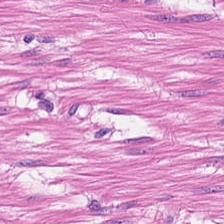Hematoxylin and eosin. Brightfield microscopy. Tissue type — muscularis.
